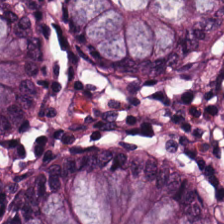Hematoxylin-and-eosin stained section · formalin-fixed paraffin-embedded section · brightfield — Predominantly non-neoplastic colon mucosa.
